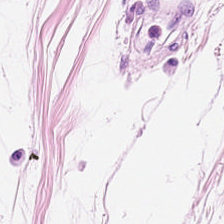224×224 px tile. H&E. Brightfield.
Tissue type — adipocytes.
